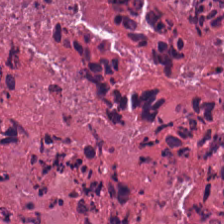H&E stain. 224×224 px tile — The tissue class is debris.
